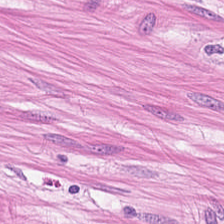H&E-stained tissue section — Q: What tissue is shown?
A: It is smooth muscle.
